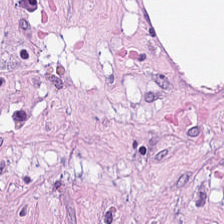Hematoxylin and eosin.
Tissue class — tumor-associated stroma.
